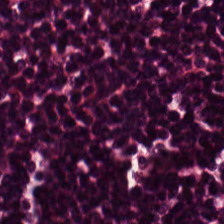H&E.
Q: What tissue is shown?
A: The field shows lymphocyte aggregate.
